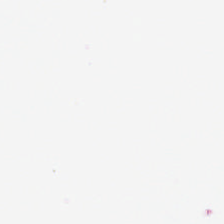Hematoxylin and eosin. WSI patch — Q: What is shown here?
A: Background.
